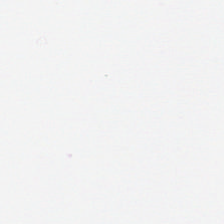Hematoxylin-and-eosin stained section.
{"content": "no tissue"}
